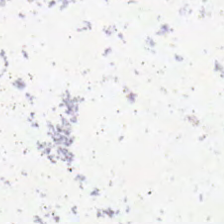H&E-stained tissue section; 20× equivalent magnification; 224×224 pixel tile. {"content": "empty background"}
